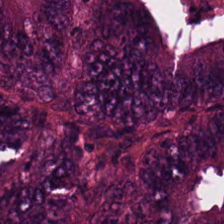Classification = tumor epithelium.
